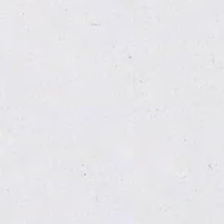Hematoxylin-and-eosin stained section · brightfield. Background — no tissue in this field.
